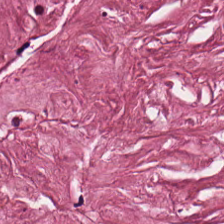H&E-stained tissue section; brightfield; 0.5 µm/px. Tissue — desmoplastic stroma.
